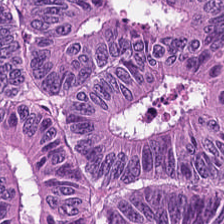FFPE. Hematoxylin and eosin — Tissue class — colorectal adenocarcinoma.
